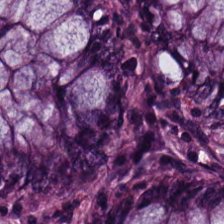H&E.
This patch shows non-neoplastic colon mucosa.
